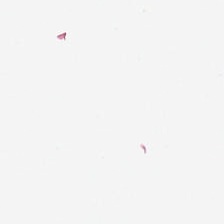224×224 px tile; hematoxylin and eosin — Classification = empty background.
